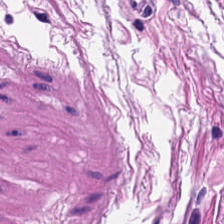Predominant tissue = smooth muscle.
